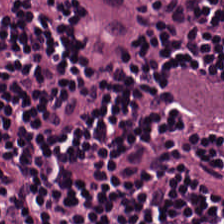Hematoxylin-and-eosin stained section.
Finding — lymphocyte aggregate.
